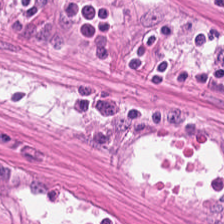Tissue type = muscularis.
